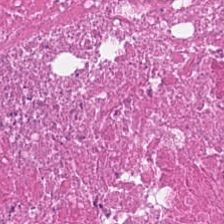224×224 pixel tile. H&E stain — Necrotic debris.
